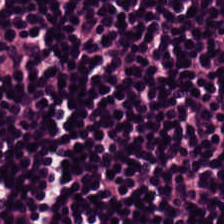H&E-stained tissue section. The classification is lymphoid infiltrate.
